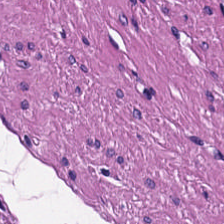Whole-slide-image patch. H&E. 0.5 µm/px. Smooth muscle.
